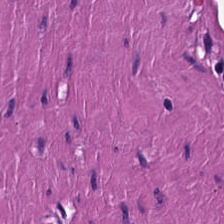H&E stain. 224×224 px patch. WSI patch.
Classification: smooth muscle.
